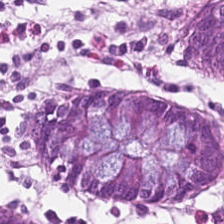Hematoxylin-and-eosin stained section. FFPE.
Q: What type of tissue is this?
A: The field shows benign colonic mucosa.
